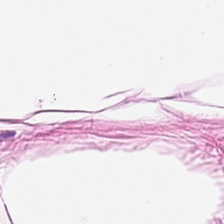H&E.
This patch shows fat tissue.
